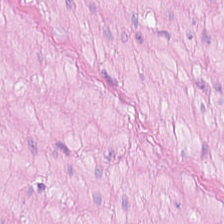Stain: H&E stain.
Tissue class: smooth-muscle tissue.
